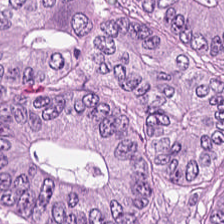Finding → adenocarcinoma.
